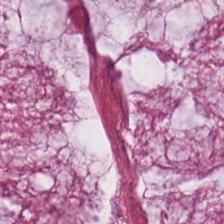224×224 px tile; hematoxylin and eosin; FFPE tissue section. Q: What does this patch show?
A: Mucus.
